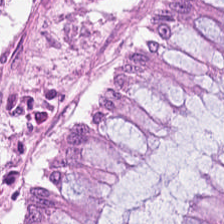Q: What is the predominant tissue type?
A: The field shows non-neoplastic colon mucosa.
